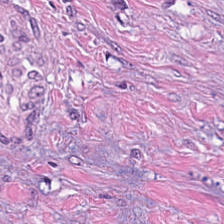Hematoxylin-and-eosin stained section · 224×224 px patch · brightfield microscopy.
Cancer-associated stroma.
